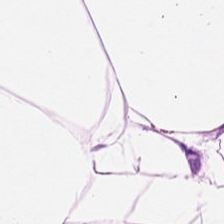H&E-stained tissue section — Q: What does this patch show?
A: Fat tissue.
